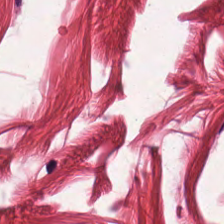Stain: hematoxylin-and-eosin stained section.
Acquisition: whole-slide-image patch.
Classification: smooth muscle.
